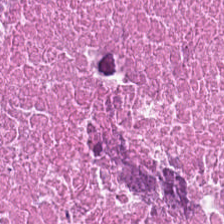H&E — Showing debris.
